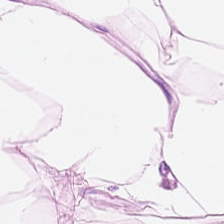Brightfield; H&E-stained tissue section; 224×224 px tile — Classification: adipose tissue.
